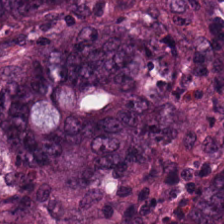H&E — Predominantly malignant epithelium.
